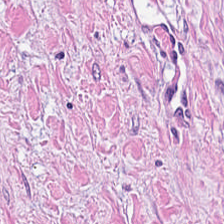Hematoxylin-and-eosin stained section — Tissue type: tumor-associated stroma.
